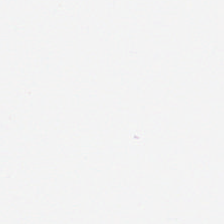Classification = background.
